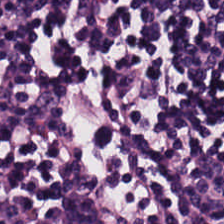H&E-stained tissue section.
Q: What is shown in this field?
A: This is lymphoid infiltrate.
